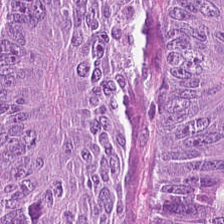Q: What tissue type is shown here?
A: This is adenocarcinoma.
